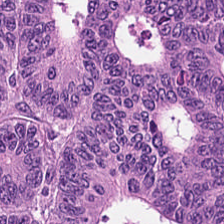0.5 microns per pixel; hematoxylin-and-eosin stained section.
The predominant tissue is malignant epithelium.
